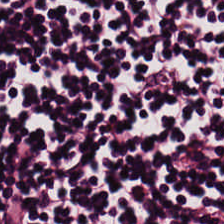Stain: H&E-stained tissue section.
Tissue: lymphocyte aggregate.
